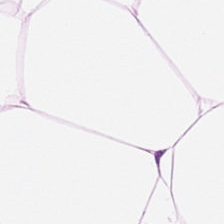H&E. {"tissue_type": "fat tissue"}
